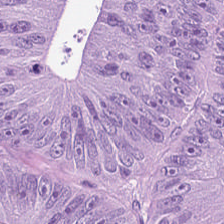Tissue — malignant epithelium.
